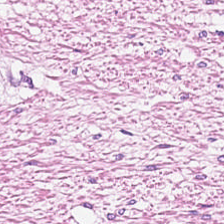This patch shows smooth-muscle tissue.
